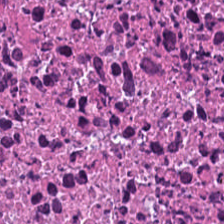Stain: hematoxylin-and-eosin stained section.
Tissue class: cellular debris.
